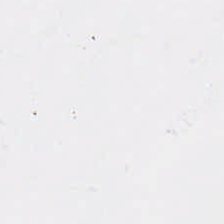Field content — background.
